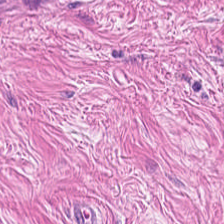Hematoxylin-and-eosin stained section · 0.5 microns per pixel. Q: What tissue is shown?
A: The field shows muscularis.
